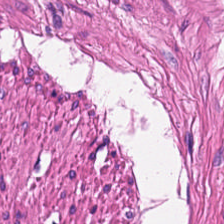H&E stain. Showing smooth muscle.
